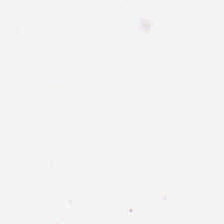No tissue present; background only.
